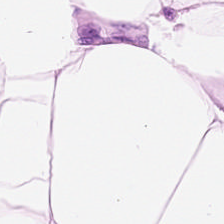Hematoxylin-and-eosin stained section. Adipose.
